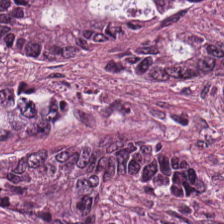This field is colorectal adenocarcinoma.
